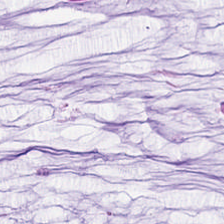224×224 pixel tile; 20× equivalent magnification; hematoxylin and eosin — Classification = extracellular mucin.
